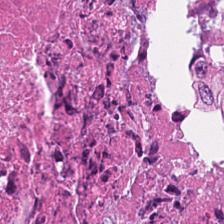H&E-stained tissue section — Tissue class = cellular debris.
